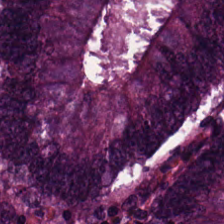Stain: hematoxylin-and-eosin stained section.
Tile size: 224×224 pixel tile.
Tissue: colorectal adenocarcinoma.
